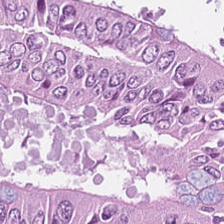Stain: H&E-stained tissue section.
Tissue type: malignant epithelium.
